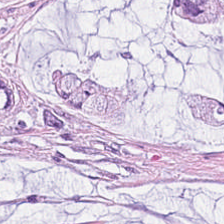Stain: H&E-stained tissue section.
Tissue type: mucus.
